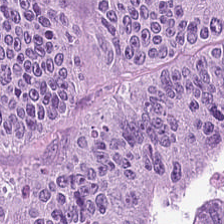H&E — Histology — colorectal adenocarcinoma.
